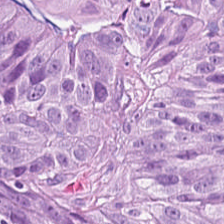Whole-slide-image patch. H&E-stained tissue section.
This patch shows colorectal adenocarcinoma.
